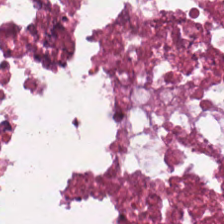0.5 microns per pixel. Hematoxylin-and-eosin stained section. 224×224 px patch. Predominantly necrotic debris.
